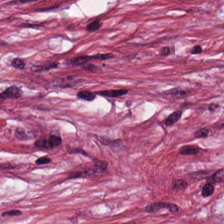Hematoxylin-and-eosin stained section. Finding — cancer-associated stroma.
